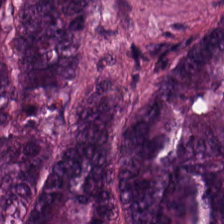Stain: H&E-stained tissue section.
Classification: tumor epithelium.
